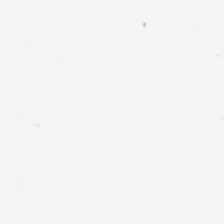FFPE tissue section. Hematoxylin and eosin — {"content": "background (no tissue)"}
